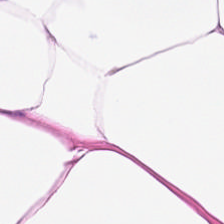Stain: hematoxylin-and-eosin stained section.
Tissue type: adipose.
